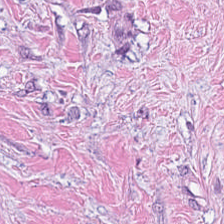Stain: H&E stain.
Acquisition: brightfield microscopy.
Preparation: formalin-fixed paraffin-embedded section.
Tissue type: tumor-associated stroma.
